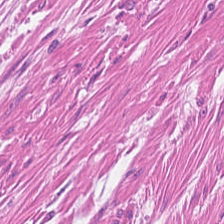Histology — muscularis.
